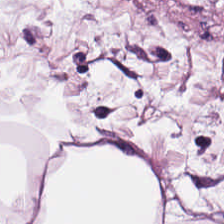Q: What does this patch show?
A: Adipose tissue.
